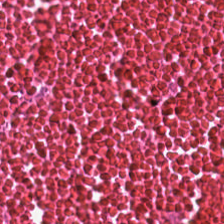H&E-stained tissue section — This patch shows debris.
